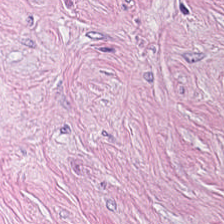224×224 pixel tile; formalin-fixed paraffin-embedded section; H&E-stained tissue section. Classification — tumor-associated stroma.
